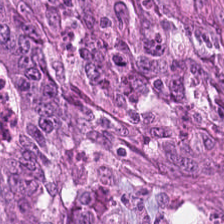Stain: H&E stain.
Resolution: 0.5 µm/px.
Classification: malignant epithelium.
